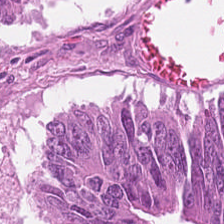Showing colorectal adenocarcinoma epithelium.
